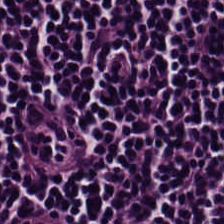H&E-stained tissue section. Tissue class — lymphoid infiltrate.
